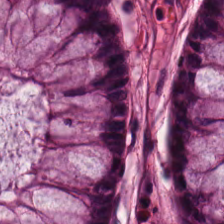Formalin-fixed paraffin-embedded section · 224×224 pixel tile · hematoxylin and eosin.
Classification: normal colon mucosa.
